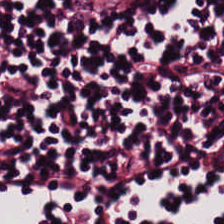Hematoxylin-and-eosin stained section.
The tissue is lymphocytic infiltrate.
